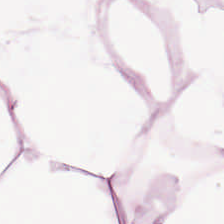Hematoxylin-and-eosin stained section. The tissue type is adipose tissue.
